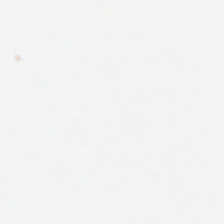H&E stain — Background — no tissue in this field.
